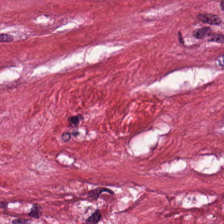Finding — tumor-associated stroma.
